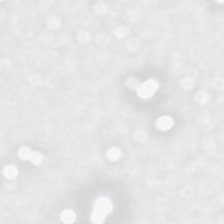Q: What does this patch show?
A: Background.
